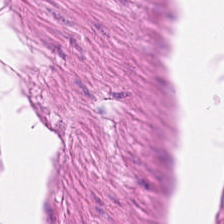Q: What is shown here?
A: Muscularis.
